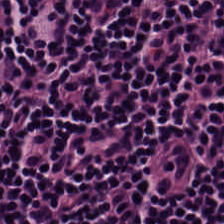0.5 microns per pixel · H&E stain · 224×224 px patch. The predominant tissue is lymphocytes.
